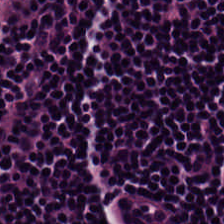H&E stain · formalin-fixed paraffin-embedded section · brightfield.
Tissue type — lymphoid infiltrate.
